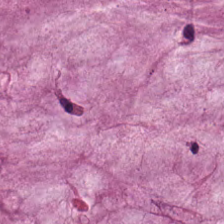Hematoxylin-and-eosin stained section. Tissue type — mucin.
